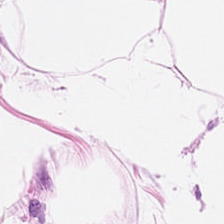224×224 px patch; hematoxylin-and-eosin stained section. Q: What tissue type is shown here?
A: The field shows adipose tissue.
